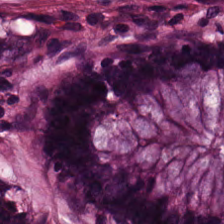H&E. Classification = benign colonic mucosa.
